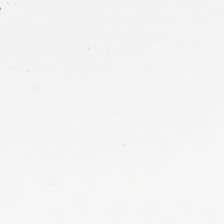H&E — This field is background (no tissue).
